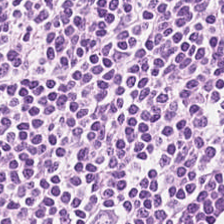Hematoxylin-and-eosin stained section.
The tissue is lymphoid infiltrate.
